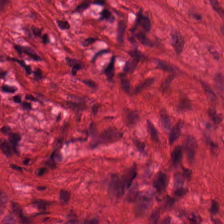Finding — muscularis.
